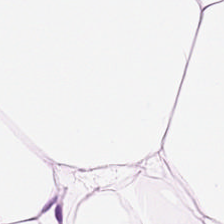H&E stain — Showing adipose tissue.
